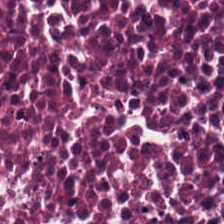FFPE · hematoxylin and eosin.
Showing necrotic debris.
